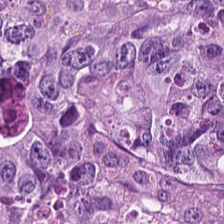Hematoxylin-and-eosin stained section — Predominant tissue — tumor epithelium.
